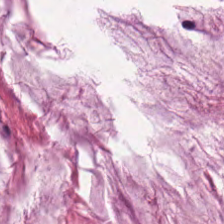Hematoxylin-and-eosin stained section · FFPE tissue section · whole-slide-image patch.
Tissue type: extracellular mucin.
